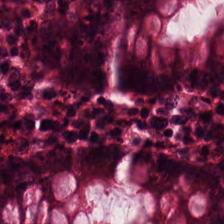Brightfield. Formalin-fixed paraffin-embedded section. H&E.
Tissue: normal colonic mucosa.
